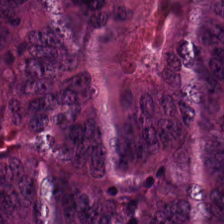Brightfield · hematoxylin-and-eosin stained section · 224×224 px patch.
The predominant tissue is colorectal adenocarcinoma.
